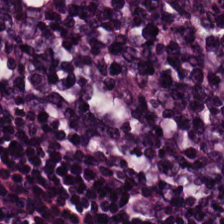Hematoxylin-and-eosin stained section; 224×224 px patch — Predominant tissue = lymphocyte aggregate.
